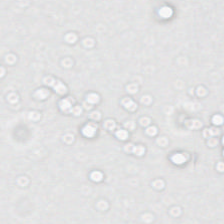Empty background.
